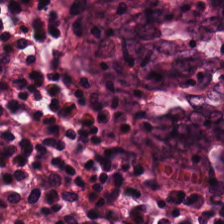0.5 µm per pixel · WSI patch · H&E stain — The tissue type is normal colon mucosa.
